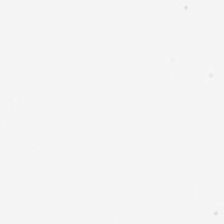Hematoxylin-and-eosin stained section · FFPE — This patch shows no tissue.
